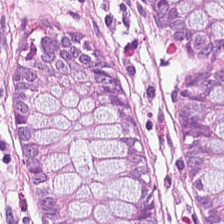Tissue class — normal colonic mucosa.
